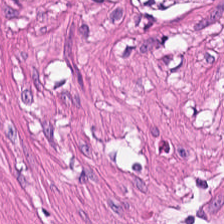Classification: muscularis.
